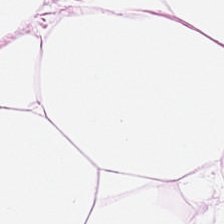Formalin-fixed paraffin-embedded section. WSI patch. Hematoxylin-and-eosin stained section. This patch shows adipose tissue.
